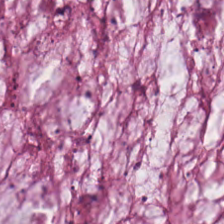H&E — Showing extracellular mucin.
